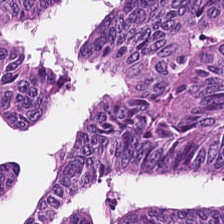Stain: H&E-stained tissue section.
Classification: colorectal adenocarcinoma epithelium.
